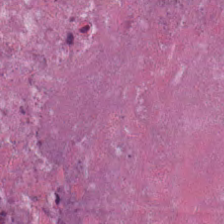H&E stain · FFPE tissue section · whole-slide-image patch.
Q: Classify this patch.
A: Necrotic debris.
